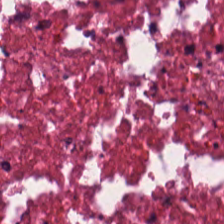The predominant tissue is necrotic debris.
